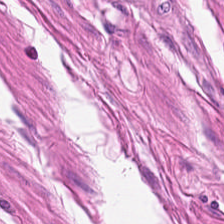The tissue class is smooth-muscle tissue.
